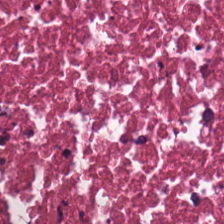H&E-stained tissue section.
Predominant tissue — cellular debris.
